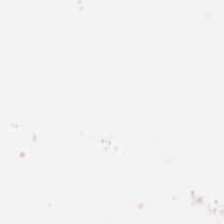Q: What does this patch show?
A: It is background (no tissue).
